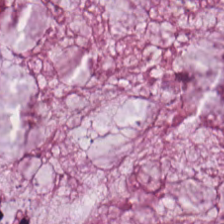Tissue class = extracellular mucin.
